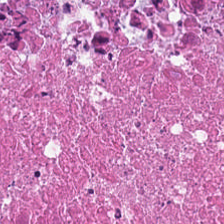H&E-stained tissue section; 224×224 pixel tile.
Cellular debris.
